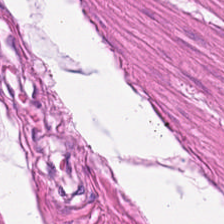H&E-stained section; the field shows smooth-muscle tissue.
